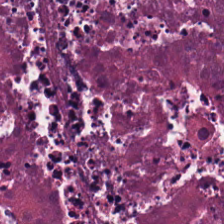{"tissue_type": "necrotic debris"}
